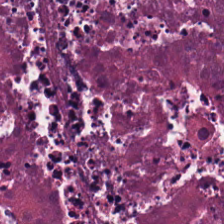{"tissue_type": "necrotic debris"}
